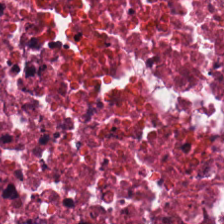Hematoxylin-and-eosin stained section — This field is debris.
